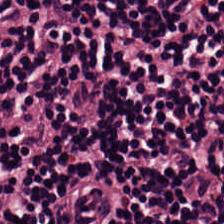Hematoxylin and eosin — Tissue type = lymphocyte aggregate.
